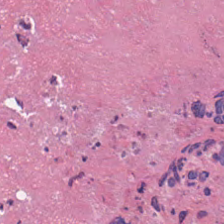H&E stain. Formalin-fixed paraffin-embedded section.
The tissue class is cellular debris.
